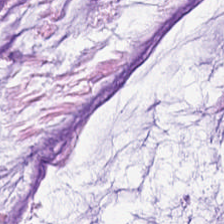Brightfield; H&E-stained tissue section; 0.5 microns per pixel — Classification — mucin.
